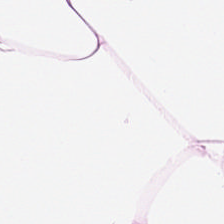Stain: hematoxylin and eosin.
Tile size: 224×224 pixel tile.
Predominant tissue: fat tissue.
